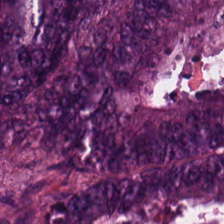Brightfield. 224×224 px patch. H&E.
The tissue here is malignant epithelium.
